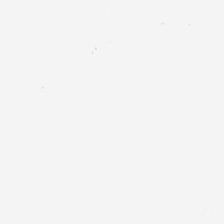20× equivalent magnification. H&E stain. Empty field — no tissue.
